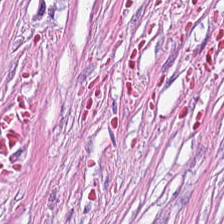H&E stain. Whole-slide-image patch.
Q: What tissue type is shown here?
A: The field shows tumor stroma.
